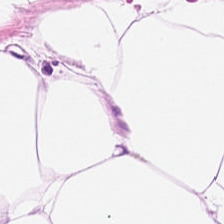Stain: hematoxylin and eosin.
Tissue class: adipose.
